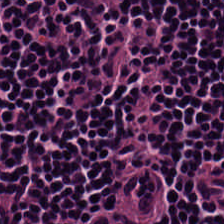H&E-stained tissue section showing lymphocytic infiltrate.
